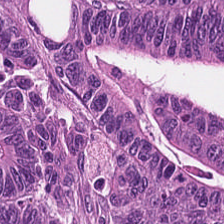Stain: H&E-stained tissue section.
Classification: colorectal adenocarcinoma.
